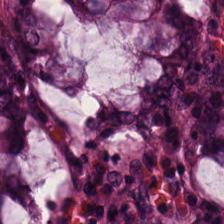Whole-slide-image patch. Formalin-fixed paraffin-embedded section. Hematoxylin-and-eosin stained section.
Histology → normal colonic mucosa.
